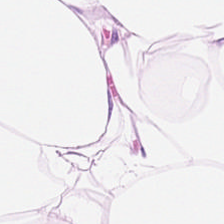This field is adipose.
